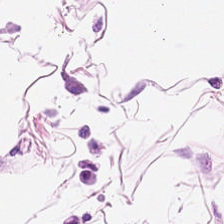Stain: hematoxylin and eosin.
Tissue: fat tissue.
